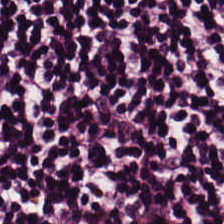H&E. Q: What does this patch show?
A: It is lymphocytes.
